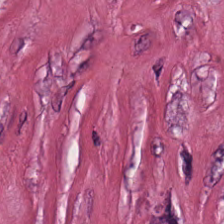Q: What is shown in this field?
A: This is tumor stroma.
